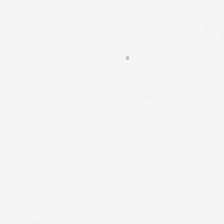Hematoxylin-and-eosin stained section; 0.5 microns per pixel; WSI patch — This patch shows empty background.
